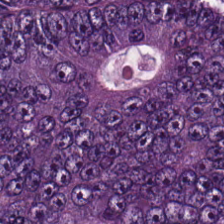Tissue class: malignant epithelium.
